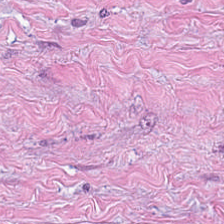Hematoxylin and eosin — The tissue here is tumor stroma.
